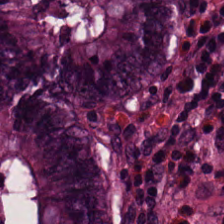This field is benign colonic mucosa.
